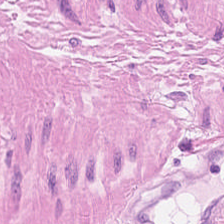Predominantly smooth muscle.
